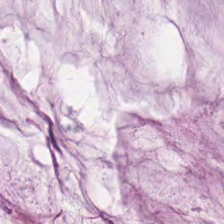H&E stain. Extracellular mucin.
